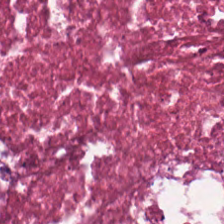Q: Identify the tissue.
A: This is necrotic debris.
